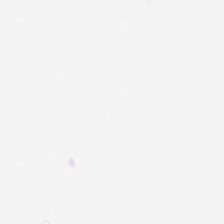H&E-stained tissue section.
Content: empty background.
